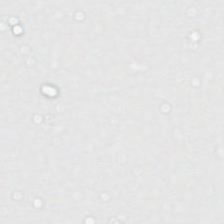H&E-stained tissue section.
Background — no tissue in this field.
